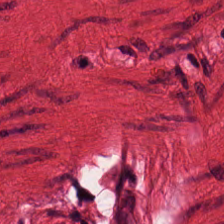Formalin-fixed paraffin-embedded section · hematoxylin and eosin · 0.5 microns per pixel.
Showing smooth-muscle tissue.
